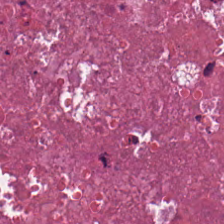Showing necrotic debris.
